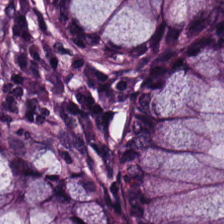H&E — Q: What is the predominant tissue type?
A: This is normal colonic mucosa.
